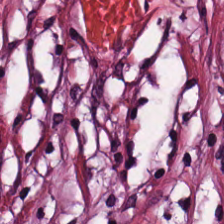WSI patch. Hematoxylin and eosin. Q: What tissue is shown?
A: This is cancer-associated stroma.
